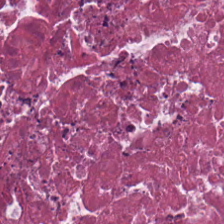H&E-stained tissue section · formalin-fixed paraffin-embedded section.
Q: Classify this patch.
A: It is necrotic debris.
